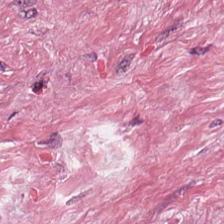H&E patch showing tumor-associated stroma.
